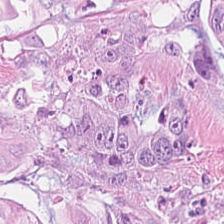H&E-stained tissue section. Brightfield.
Tissue class = malignant epithelium.
